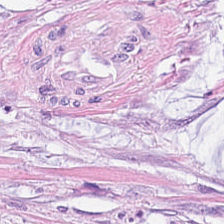Hematoxylin and eosin — Q: What is the predominant tissue type?
A: It is mucus.
